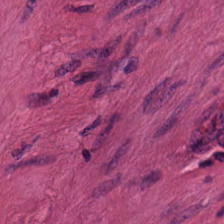Hematoxylin and eosin — Showing smooth-muscle tissue.
